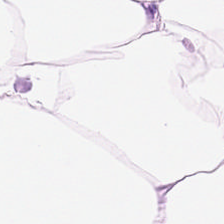Whole-slide-image patch; hematoxylin-and-eosin stained section; 224×224 px tile.
Impression — adipocytes.
